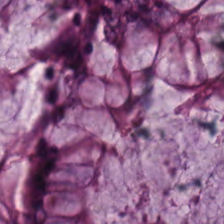FFPE · H&E stain — Q: What is shown in this field?
A: Non-neoplastic colon mucosa.
